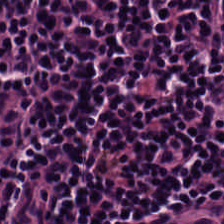Lymphoid infiltrate.
